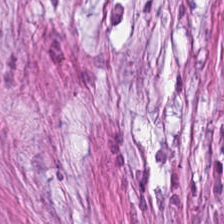Hematoxylin-and-eosin stained section · FFPE tissue section.
The tissue class is desmoplastic stroma.
